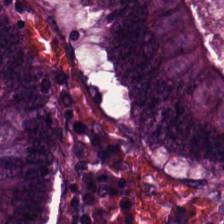H&E stain. 224×224 px tile. Q: What is the predominant tissue type?
A: Adenocarcinoma.
